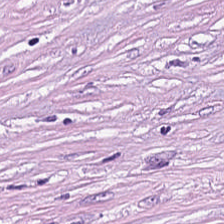Hematoxylin-and-eosin stained section — This patch shows tumor stroma.
